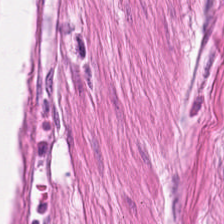Showing muscularis.
